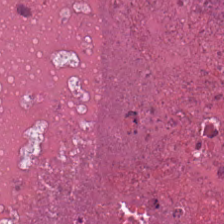224×224 px tile · H&E stain · 20× equivalent magnification — Showing debris.
